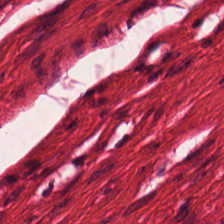Whole-slide-image patch · H&E stain — Histology — muscularis.
